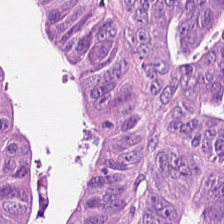Hematoxylin and eosin — This field is malignant epithelium.
